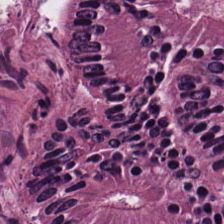H&E stain.
Finding — colorectal adenocarcinoma.
